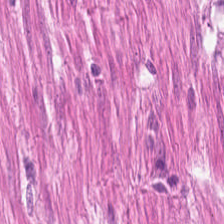Impression — smooth-muscle tissue.
